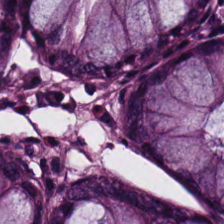Hematoxylin-and-eosin stained section; FFPE. {"tissue_type": "non-neoplastic colon mucosa"}
